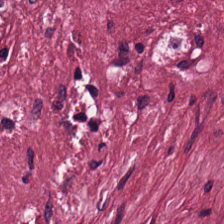H&E. Predominantly tumor stroma.
